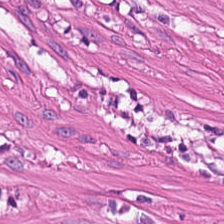Hematoxylin and eosin. Impression — smooth muscle.
